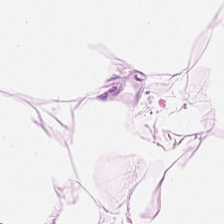Brightfield microscopy; hematoxylin and eosin.
{"tissue_type": "adipocytes"}
